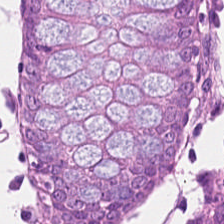0.5 µm/px · hematoxylin and eosin — {"tissue_type": "normal colon mucosa"}
